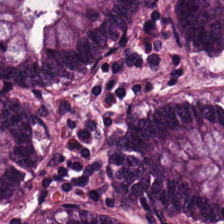Hematoxylin-and-eosin stained section. 0.5 microns per pixel. Showing benign colonic mucosa.
